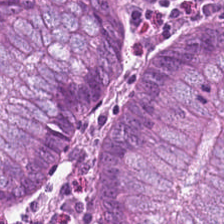Hematoxylin-and-eosin stained section · formalin-fixed paraffin-embedded section. Benign colonic mucosa.
